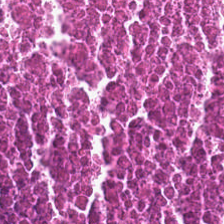Hematoxylin and eosin. Q: What is the predominant tissue type?
A: This is necrotic debris.
